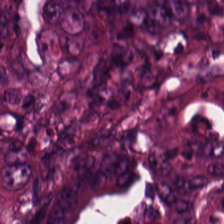Stain: hematoxylin and eosin.
Classification: colorectal adenocarcinoma.
